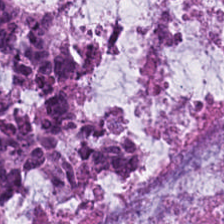Stain: H&E.
Classification: mucus.
